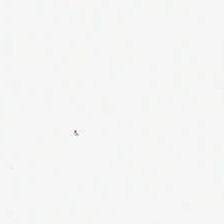224×224 px patch · H&E-stained tissue section.
No tissue present; background only.
